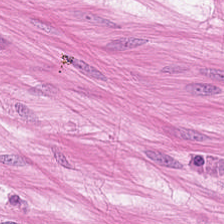FFPE · H&E-stained tissue section.
Classification — smooth-muscle tissue.
